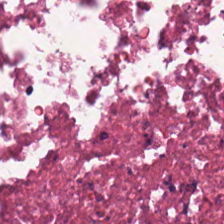Hematoxylin and eosin; formalin-fixed paraffin-embedded section — Tissue type: debris.
